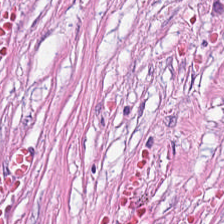FFPE · H&E — Showing tumor-associated stroma.
